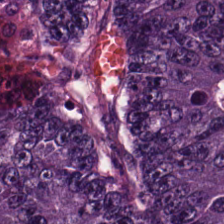Hematoxylin and eosin; 0.5 µm/px — Tissue type: colorectal adenocarcinoma.
